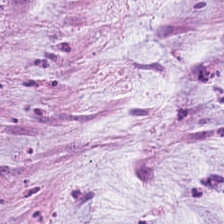H&E-stained tissue section. 224×224 px tile.
Q: What type of tissue is this?
A: Extracellular mucin.
